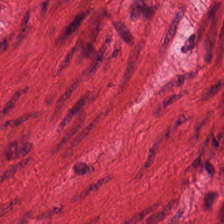Stain: H&E.
Predominant tissue: muscularis.
